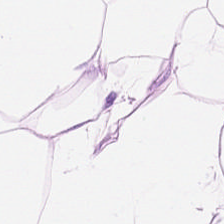Q: What tissue is shown?
A: The field shows adipose tissue.
